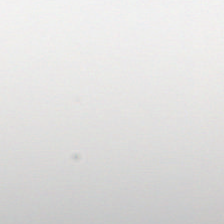Content — no tissue.
